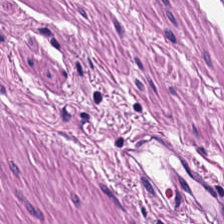Hematoxylin-and-eosin stained section. Showing muscularis.
